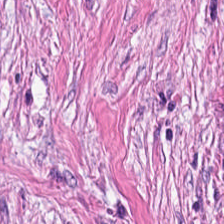Stain: hematoxylin-and-eosin stained section.
Tissue type: cancer-associated stroma.
